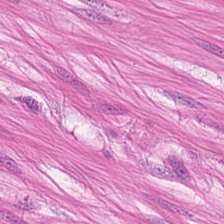Hematoxylin-and-eosin stained section. This patch shows muscularis.
